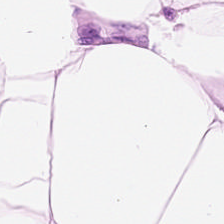Stain: hematoxylin-and-eosin stained section.
Acquisition: WSI patch.
Resolution: 0.5 µm/px.
Tissue: adipocytes.
